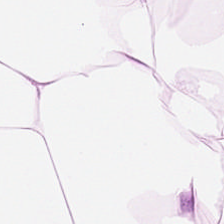Brightfield · hematoxylin and eosin — Showing adipose.
